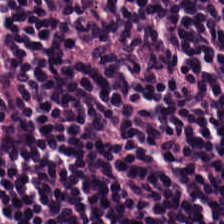0.5 µm/px · H&E.
Predominantly lymphocyte aggregate.
